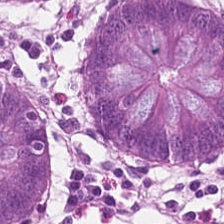Hematoxylin-and-eosin stained section.
This field is normal colonic mucosa.
